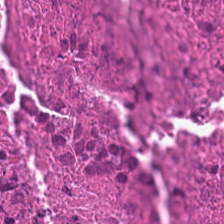The tissue here is cellular debris.
